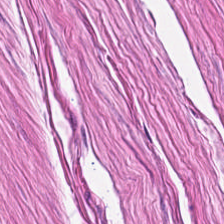Stain: H&E-stained tissue section.
Tissue type: muscularis.
